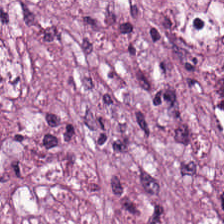0.5 µm/px · hematoxylin and eosin · brightfield microscopy — Classification — desmoplastic stroma.
